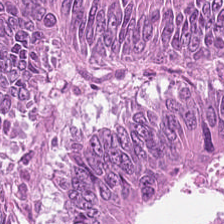Stain: hematoxylin and eosin.
Tissue type: colorectal adenocarcinoma.
